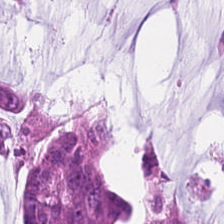Brightfield. Hematoxylin and eosin.
Q: What is the predominant tissue type?
A: This is mucus.
